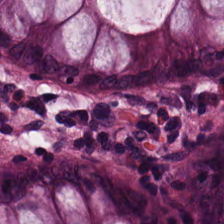H&E.
Benign colonic mucosa.
